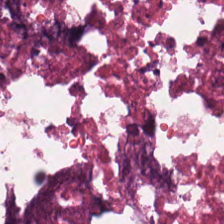Hematoxylin-and-eosin stained section. Whole-slide-image patch — This patch shows necrotic debris.
